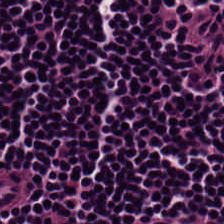0.5 microns per pixel. H&E stain.
Tissue type: lymphoid infiltrate.
